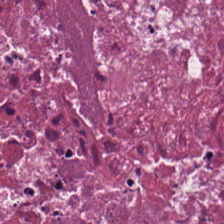The predominant tissue is cellular debris.
